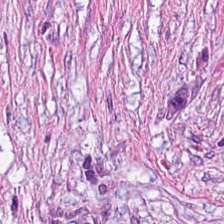Stain: H&E-stained tissue section.
Predominant tissue: desmoplastic stroma.
